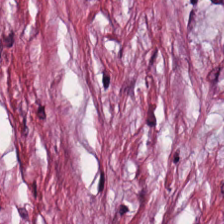H&E-stained tissue section — Q: What tissue type is shown here?
A: This is desmoplastic stroma.
